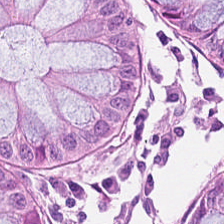H&E stain. FFPE tissue section.
Tissue type: non-neoplastic colon mucosa.
